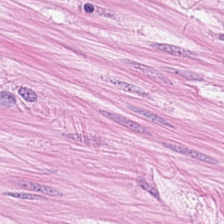H&E stain · 0.5 µm/px · FFPE tissue section. Finding → smooth muscle.
